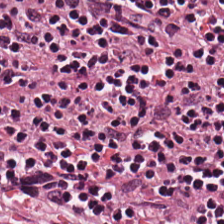Q: What tissue type is shown here?
A: It is lymphocytes.
